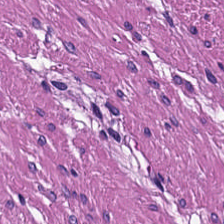Stain: H&E stain.
Tissue: muscularis.
